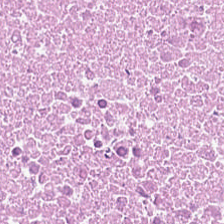This patch shows debris.
